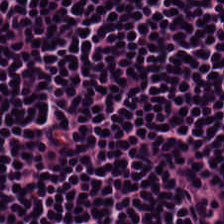Stain: H&E.
Predominant tissue: lymphocytes.
